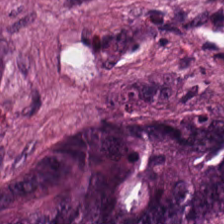H&E-stained tissue section; 0.5 µm per pixel. Tissue type — adenocarcinoma.
